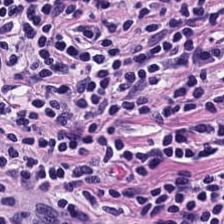H&E-stained tissue section showing lymphocytes.
